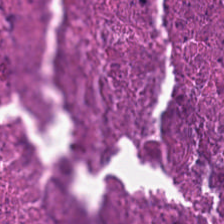H&E stain; WSI patch — Necrotic debris.
